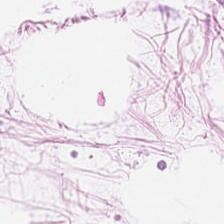Q: What tissue type is shown here?
A: The field shows adipose tissue.
